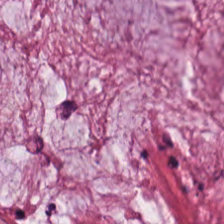Hematoxylin-and-eosin stained section — The tissue is mucin.
